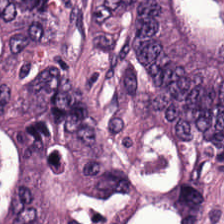H&E — Q: Identify the tissue.
A: The field shows adenocarcinoma.
